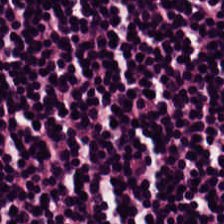Stain: H&E.
Predominant tissue: lymphocytic infiltrate.
